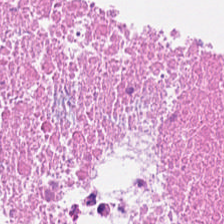Stain: hematoxylin-and-eosin stained section.
Tissue type: debris.
